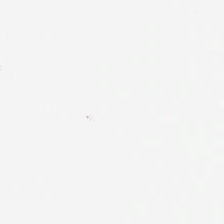224×224 px patch · hematoxylin and eosin · 0.5 µm/px — Field content: background.
